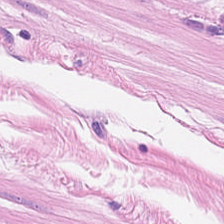Stain: H&E.
Resolution: 0.5 µm per pixel.
Tissue class: muscularis.
